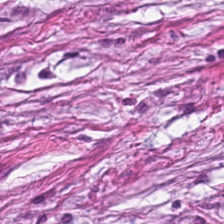H&E stain · brightfield. Tissue: desmoplastic stroma.
